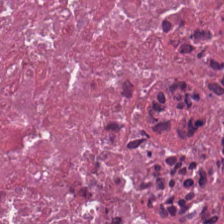H&E.
{"tissue_type": "cellular debris"}
